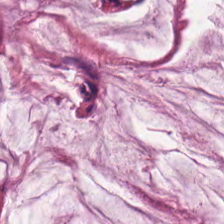H&E stain — {"tissue_type": "mucus"}
